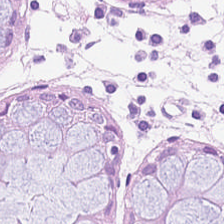Q: What is the predominant tissue type?
A: This is normal colon mucosa.
